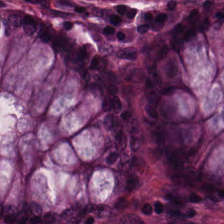H&E patch showing normal colonic mucosa.
